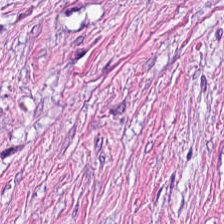Stain: H&E-stained tissue section.
Acquisition: whole-slide-image patch.
Tissue: desmoplastic stroma.
